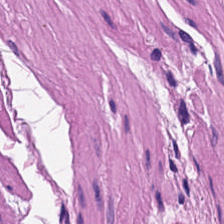Hematoxylin-and-eosin section: smooth-muscle tissue.
